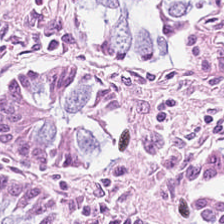H&E stain. This patch shows benign colonic mucosa.
